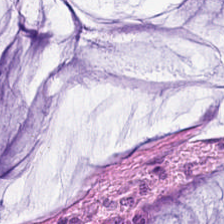H&E-stained tissue section. The classification is mucin.
